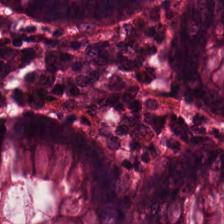Benign colonic mucosa.
